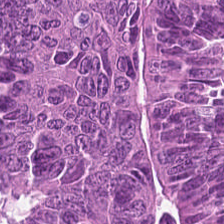Showing adenocarcinoma.
